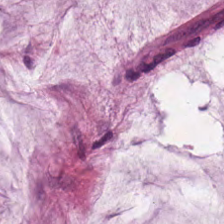H&E-stained tissue section · FFPE tissue section · 224×224 pixel tile.
Extracellular mucin.
